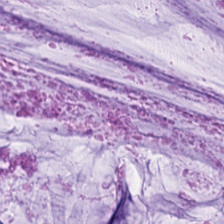Hematoxylin and eosin; 224×224 px tile. Q: Identify the tissue.
A: Mucus.
